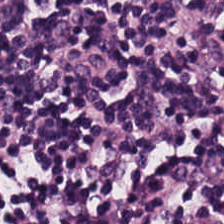H&E-stained tissue section · 0.5 µm per pixel · brightfield.
Classification — lymphocyte aggregate.
